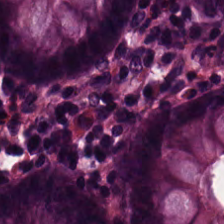Stain: H&E-stained tissue section.
Tissue class: benign colonic mucosa.
